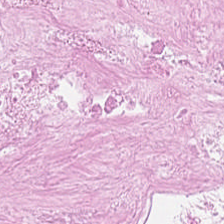0.5 µm/px. 224×224 pixel tile. H&E-stained tissue section.
Q: Identify the tissue.
A: The field shows debris.
